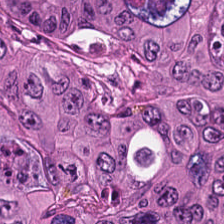H&E. Tissue type: colorectal adenocarcinoma epithelium.
